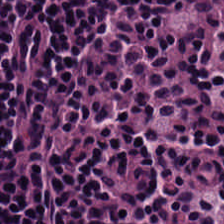Q: What does this patch show?
A: It is lymphocyte aggregate.
